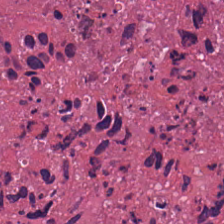Stain: hematoxylin and eosin.
Tissue: necrotic debris.
